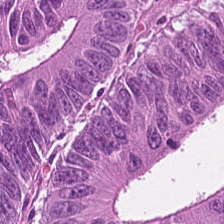Hematoxylin and eosin. FFPE tissue section. 224×224 px tile — This field is adenocarcinoma.
